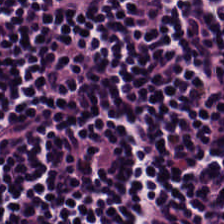Q: Classify this patch.
A: This is lymphoid infiltrate.
